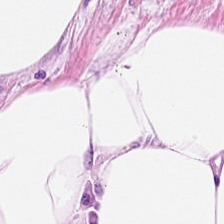Hematoxylin and eosin.
Q: What is the predominant tissue type?
A: The field shows adipose.
